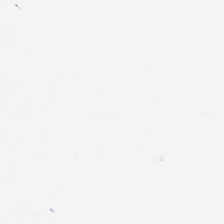H&E stain. FFPE tissue section.
Q: What is shown here?
A: It is empty background.
